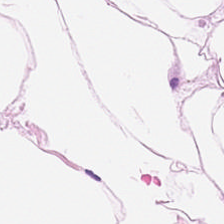H&E-stained tissue section; WSI patch; 20× equivalent magnification.
Predominantly adipose.
